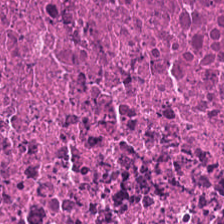Brightfield microscopy. 0.5 µm/px. H&E.
Q: What is shown here?
A: The field shows debris.
